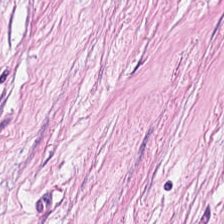H&E — desmoplastic stroma.
